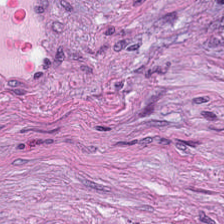Q: Classify this patch.
A: It is tumor-associated stroma.
